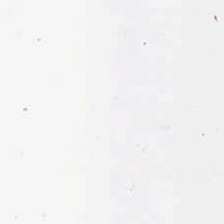Q: What is shown in this field?
A: It is background (no tissue).
